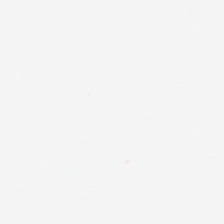Hematoxylin and eosin — Finding → background (no tissue).
